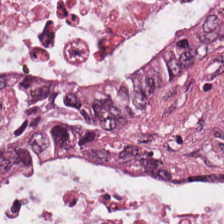224×224 pixel tile; formalin-fixed paraffin-embedded section; H&E.
The classification is malignant epithelium.
